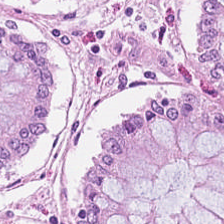Stain: H&E.
Tissue type: benign colonic mucosa.
